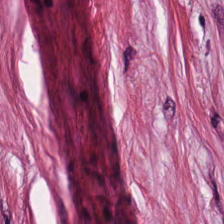H&E stain.
Q: What tissue is shown?
A: It is cancer-associated stroma.
